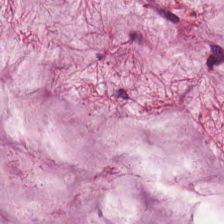FFPE tissue section. 224×224 px patch. H&E stain — {"tissue_type": "extracellular mucin"}
